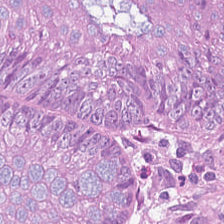Hematoxylin and eosin — Tissue class — colorectal adenocarcinoma.
